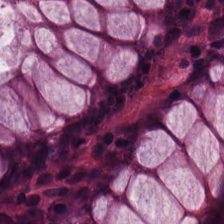Q: What is the predominant tissue type?
A: The field shows non-neoplastic colon mucosa.
